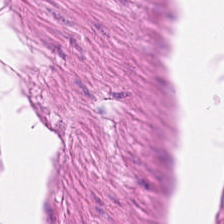20× equivalent magnification; hematoxylin-and-eosin stained section; 224×224 px tile. Histology → smooth-muscle tissue.
